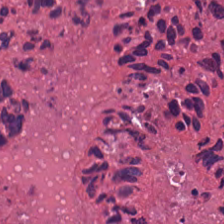224×224 pixel tile; FFPE; hematoxylin-and-eosin stained section — Tissue class: necrotic debris.
